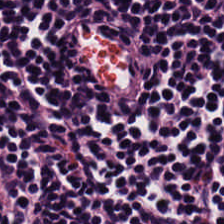0.5 µm per pixel; H&E-stained tissue section — This field is lymphocytes.
